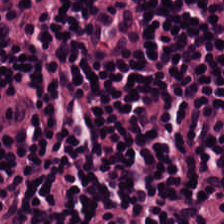224×224 px tile; hematoxylin and eosin — This field is lymphocyte aggregate.
